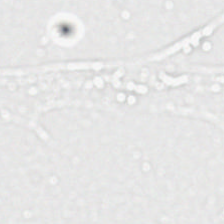Stain: hematoxylin-and-eosin stained section.
Tile size: 224×224 pixel tile.
Content: background.
